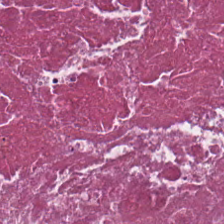H&E. Q: What tissue is shown?
A: Necrotic debris.
